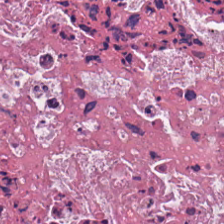H&E stain. 224×224 px tile — Tissue — debris.
